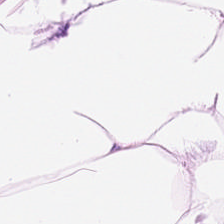WSI patch · H&E stain · FFPE. This patch shows adipose tissue.
